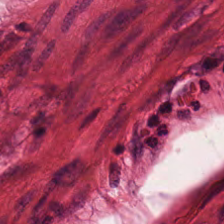H&E.
Tissue type — smooth muscle.
